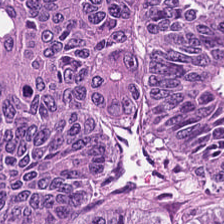Formalin-fixed paraffin-embedded section; hematoxylin-and-eosin stained section. Adenocarcinoma.
